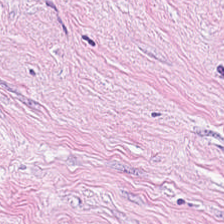Formalin-fixed paraffin-embedded section · hematoxylin-and-eosin stained section.
Predominantly cancer-associated stroma.
